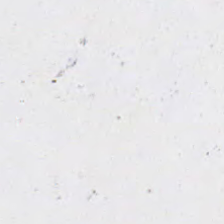Stain: H&E-stained tissue section.
Field content: background.
